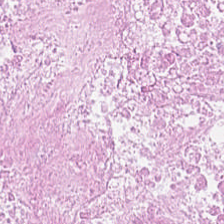Hematoxylin and eosin. Classification: debris.
